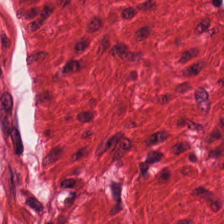H&E-stained tissue section. Q: What tissue type is shown here?
A: This is smooth-muscle tissue.
